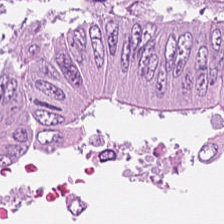Hematoxylin-and-eosin section: adenocarcinoma.
